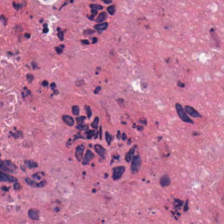This patch shows cellular debris.
